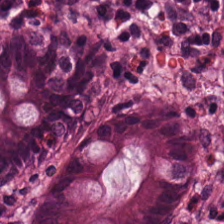H&E — non-neoplastic colon mucosa.
